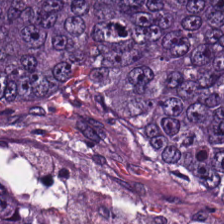Finding — tumor epithelium.
